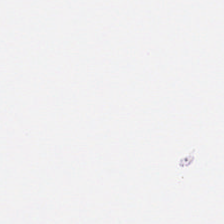H&E-stained tissue section.
Q: What is shown here?
A: This is background (no tissue).
